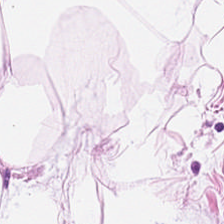224×224 pixel tile. Hematoxylin-and-eosin stained section.
Showing adipose tissue.
